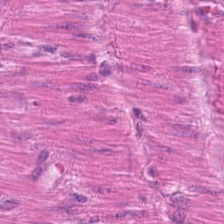This patch shows smooth muscle.
